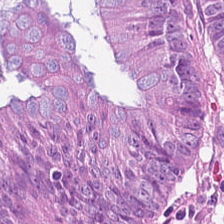H&E.
Q: Identify the tissue.
A: Tumor epithelium.
